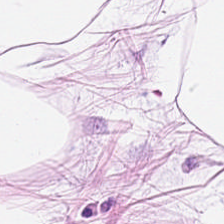Tissue type = fat tissue.
